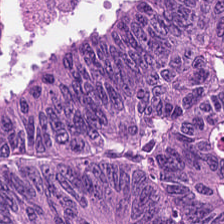Hematoxylin and eosin · brightfield. Predominantly colorectal adenocarcinoma.
